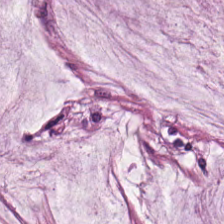Stain: H&E-stained tissue section.
Tissue class: mucin.
